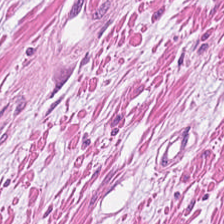WSI patch · hematoxylin-and-eosin stained section.
This patch shows smooth-muscle tissue.
